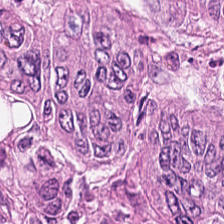WSI patch. H&E-stained tissue section.
Tissue class = malignant epithelium.
